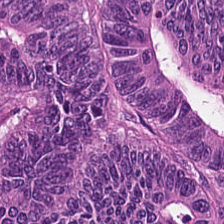Stain: hematoxylin-and-eosin stained section.
Preparation: formalin-fixed paraffin-embedded section.
Resolution: 20× equivalent magnification.
Classification: adenocarcinoma.
